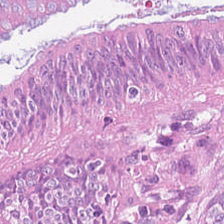FFPE · H&E stain · 224×224 pixel tile.
Predominantly colorectal adenocarcinoma epithelium.
